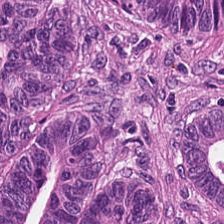Hematoxylin and eosin.
Showing tumor epithelium.
